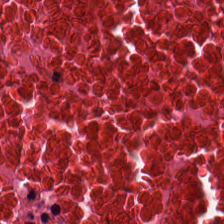H&E — Tissue = cellular debris.
